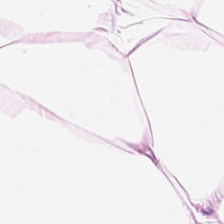Q: What tissue is shown?
A: This is fat tissue.
